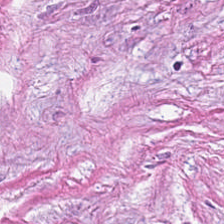Stain: H&E stain.
Tile size: 224×224 px patch.
Predominant tissue: tumor-associated stroma.
